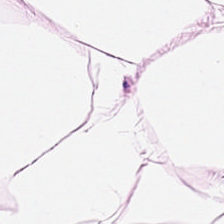H&E. Q: What is shown in this field?
A: Fat tissue.
